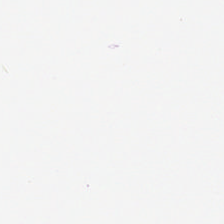H&E-stained tissue section; 224×224 px patch.
Finding → empty background.
